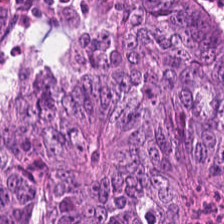H&E. Q: What is shown in this field?
A: It is tumor epithelium.
